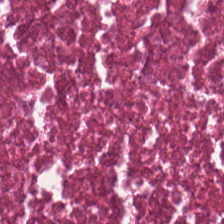H&E · FFPE.
Cellular debris.
